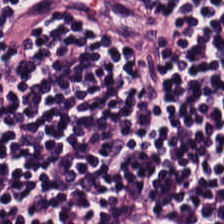This patch shows lymphoid infiltrate.
